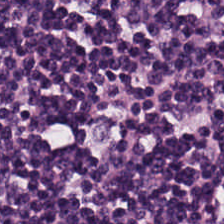H&E-stained section; the field shows lymphoid infiltrate.
